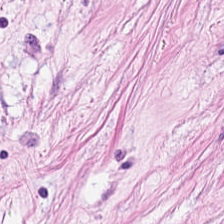Stain: H&E.
Acquisition: brightfield microscopy.
Tissue class: tumor-associated stroma.
